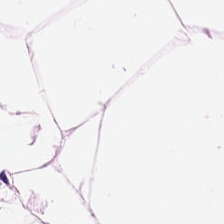Hematoxylin-and-eosin stained section. Q: Identify the tissue.
A: The field shows fat tissue.
